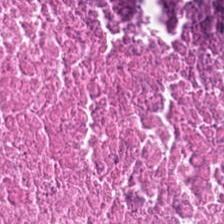Stain: H&E stain.
Tissue class: debris.
